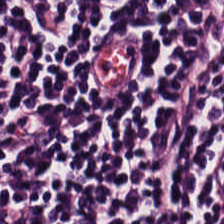Stain: H&E stain.
Predominant tissue: lymphocytic infiltrate.
